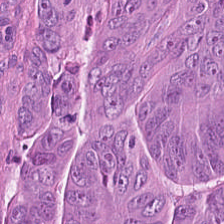Stain: hematoxylin-and-eosin stained section.
Predominant tissue: tumor epithelium.
